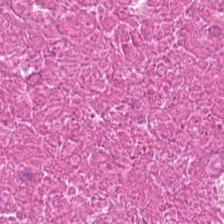Stain: H&E stain.
Acquisition: brightfield.
Resolution: 0.5 µm/px.
Tissue: necrotic debris.
